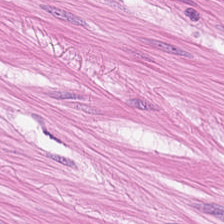Q: What type of tissue is this?
A: The field shows smooth-muscle tissue.
